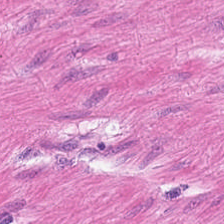Predominant tissue — smooth-muscle tissue.
